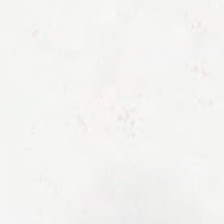Hematoxylin and eosin.
Empty field — background.
